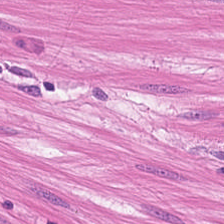H&E stain — This patch shows smooth muscle.
